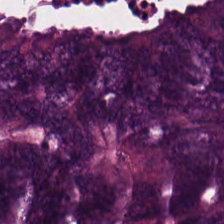This field is colorectal adenocarcinoma.
